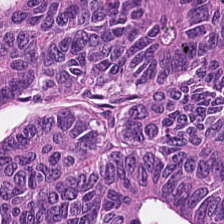Stain: H&E stain.
Tissue class: tumor epithelium.
